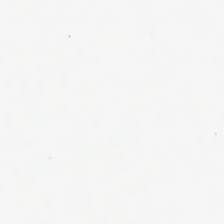Content = no tissue.
